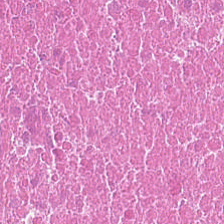H&E-stained tissue section. Q: Classify this patch.
A: Necrotic debris.
